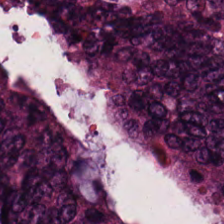Finding — adenocarcinoma.
